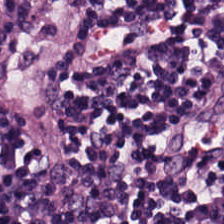H&E · brightfield — Q: Classify this patch.
A: The field shows lymphocytes.
